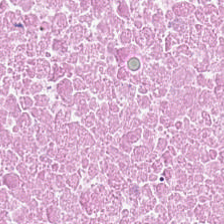H&E stain · WSI patch · FFPE tissue section.
{"tissue_type": "necrotic debris"}
